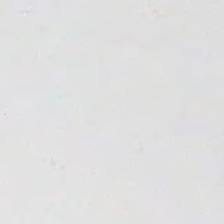Stain: hematoxylin-and-eosin stained section.
Classification: background.
